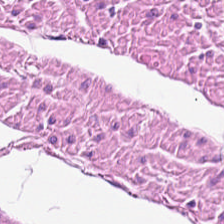Impression — smooth muscle.
